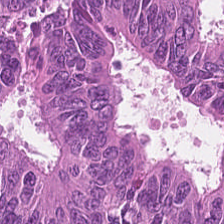H&E-stained tissue section — Q: What does this patch show?
A: This is adenocarcinoma.
